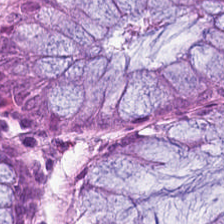FFPE tissue section · whole-slide-image patch · H&E. The classification is normal colonic mucosa.
